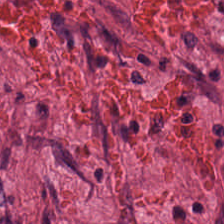H&E — Showing tumor-associated stroma.
